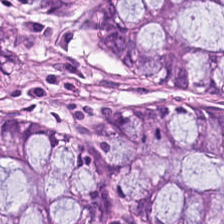H&E.
Q: What tissue type is shown here?
A: This is benign colonic mucosa.
